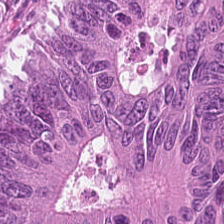H&E. 0.5 µm/px — Q: What is shown in this field?
A: The field shows malignant epithelium.
